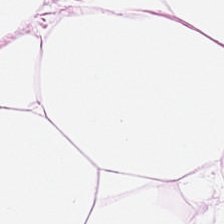Whole-slide-image patch; formalin-fixed paraffin-embedded section; H&E-stained tissue section.
{"tissue_type": "adipose"}
